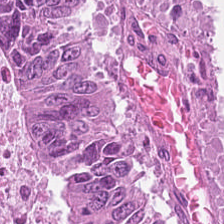Stain: H&E.
Tissue class: colorectal adenocarcinoma epithelium.
